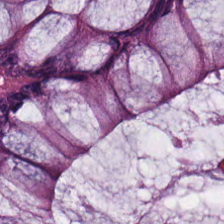Predominant tissue: normal colon mucosa.
